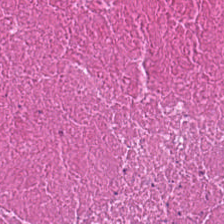Whole-slide-image patch · hematoxylin and eosin · 224×224 px tile. Showing debris.
